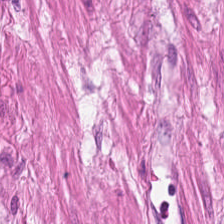H&E-stained tissue section showing smooth muscle.
